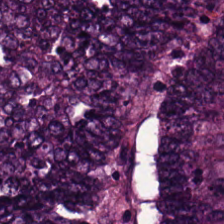H&E · FFPE tissue section.
{"tissue_type": "tumor epithelium"}
